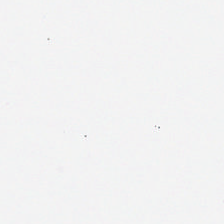H&E stain; brightfield.
Q: What is shown in this field?
A: Background.
